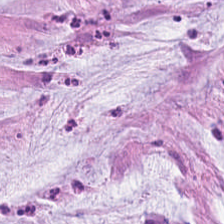H&E stain · 224×224 px tile. Predominantly mucus.
